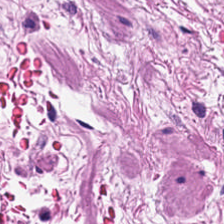Hematoxylin-and-eosin stained section. 0.5 µm per pixel. Predominantly muscularis.
